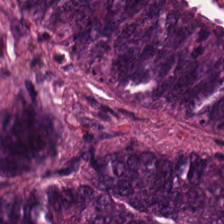Stain: H&E.
Classification: malignant epithelium.
